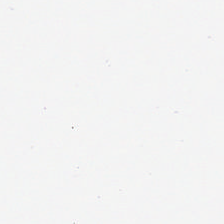FFPE tissue section · H&E · 0.5 µm/px. The predominant tissue is adipocytes.
